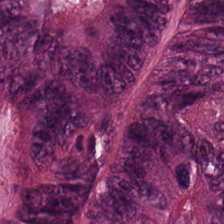Stain: H&E.
Predominant tissue: colorectal adenocarcinoma epithelium.
